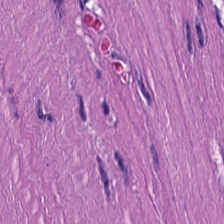Stain: H&E stain.
Tissue class: smooth-muscle tissue.
